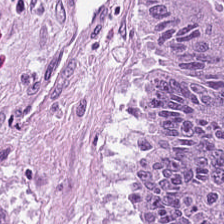H&E stain.
Q: What is shown in this field?
A: It is adenocarcinoma.
